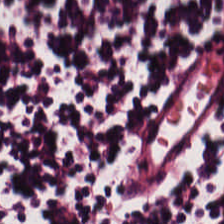This field is lymphoid infiltrate.
